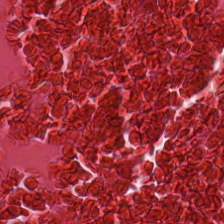{"tissue_type": "necrotic debris"}
